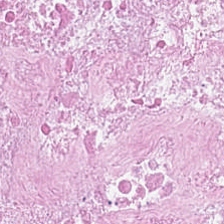Brightfield; formalin-fixed paraffin-embedded section; hematoxylin-and-eosin stained section. {"tissue_type": "cellular debris"}
